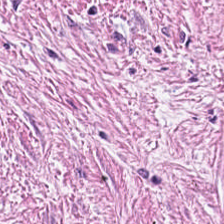Brightfield microscopy; H&E; 224×224 px patch — Histology — desmoplastic stroma.
